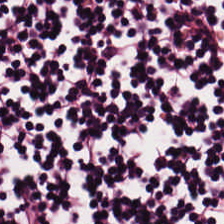H&E patch showing lymphocytes.
